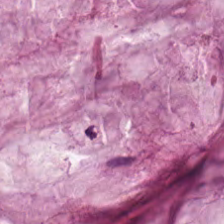{"tissue_type": "extracellular mucin"}
